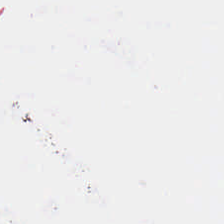Hematoxylin-and-eosin stained section — This field is background (no tissue).
